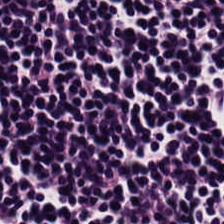Hematoxylin-and-eosin stained section — Predominantly lymphoid infiltrate.
